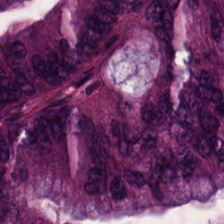Hematoxylin and eosin.
This patch shows colorectal adenocarcinoma.
